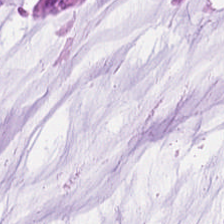0.5 microns per pixel; H&E-stained tissue section.
{"tissue_type": "mucus"}
